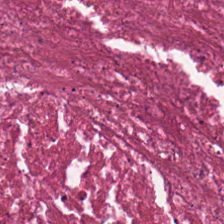H&E-stained tissue section. Classification — necrotic debris.
